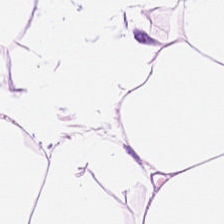Hematoxylin-and-eosin stained section; 224×224 px patch — Tissue class — adipose tissue.
